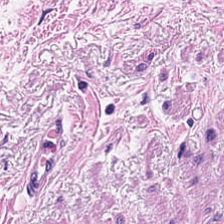Stain: H&E-stained tissue section.
Resolution: 20× equivalent magnification.
Acquisition: whole-slide-image patch.
Classification: smooth muscle.
